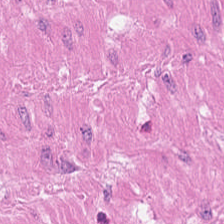H&E.
Predominantly smooth muscle.
